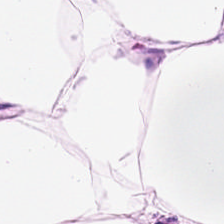Hematoxylin-and-eosin stained section — Tissue — adipocytes.
